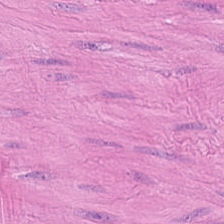Stain: H&E.
Tile size: 224×224 px patch.
Tissue type: smooth-muscle tissue.
